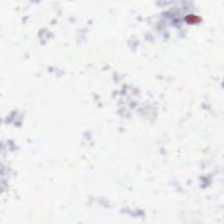Hematoxylin and eosin. Brightfield microscopy. Finding — background (no tissue).
